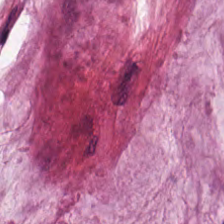0.5 microns per pixel. H&E stain. The tissue type is extracellular mucin.
